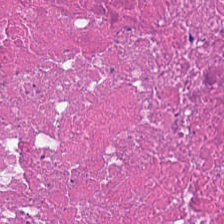H&E stain.
Tissue type = cellular debris.
